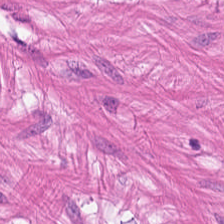H&E-stained tissue section. Impression — smooth muscle.
